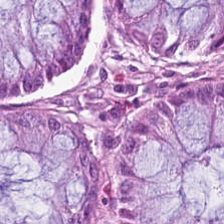Stain: H&E-stained tissue section.
Classification: benign colonic mucosa.
